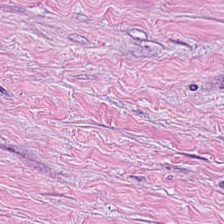H&E-stained tissue section.
This field is cancer-associated stroma.
